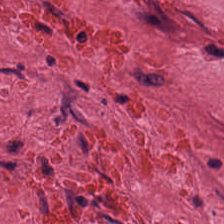Hematoxylin-and-eosin stained section. Desmoplastic stroma.
